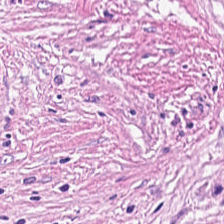Hematoxylin-and-eosin stained section.
This patch shows cancer-associated stroma.
